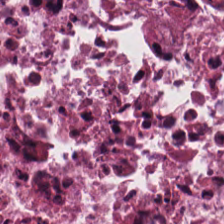224×224 px tile · hematoxylin-and-eosin stained section — The predominant tissue is debris.
